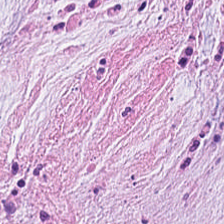H&E stain. This patch shows tumor-associated stroma.
